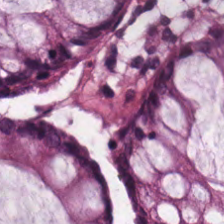H&E-stained tissue section.
This field is normal colon mucosa.
